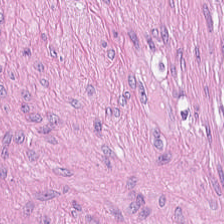This field is tumor-associated stroma.
